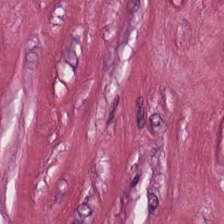0.5 µm per pixel. H&E-stained tissue section. Brightfield. Predominant tissue — cancer-associated stroma.
